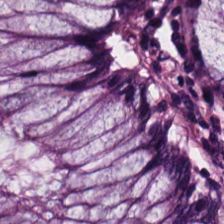H&E stain — Histology — normal colonic mucosa.
